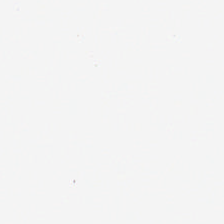Hematoxylin-and-eosin stained section — {"content": "background"}
